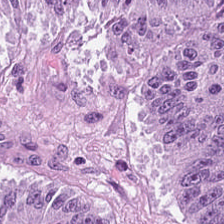0.5 µm/px. H&E — The tissue class is malignant epithelium.
